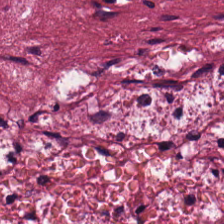Stain: hematoxylin and eosin.
Classification: tumor stroma.
